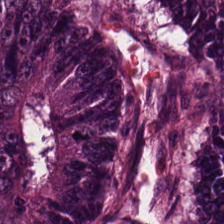Stain: H&E-stained tissue section.
Classification: colorectal adenocarcinoma.
